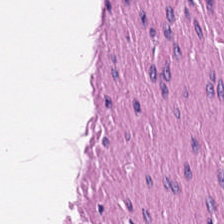The tissue here is smooth muscle.
